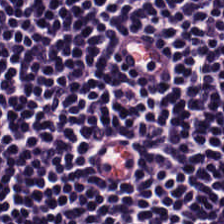H&E-stained tissue section; 224×224 pixel tile. Predominantly lymphocytes.
